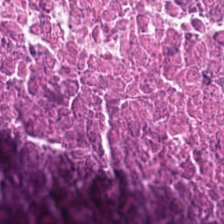H&E-stained tissue section.
Q: Identify the tissue.
A: Necrotic debris.
